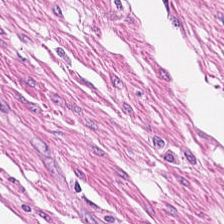FFPE tissue section · H&E. Showing muscularis.
